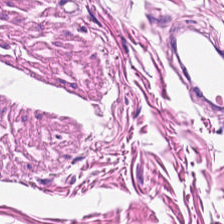H&E. Showing muscularis.
